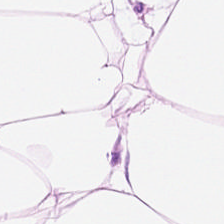Finding → adipose tissue.
